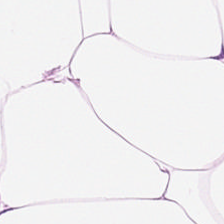Hematoxylin-and-eosin stained section. Q: Classify this patch.
A: It is adipose.
